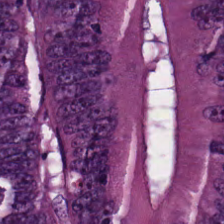H&E. Tissue type = malignant epithelium.
